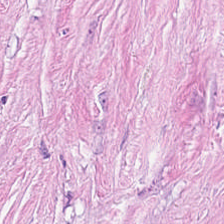Stain: H&E.
Tissue: desmoplastic stroma.
